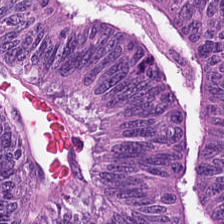H&E. Q: What tissue type is shown here?
A: Colorectal adenocarcinoma.
